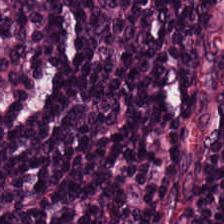Stain: hematoxylin-and-eosin stained section.
Tissue type: lymphoid infiltrate.
